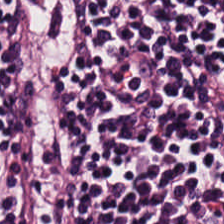Hematoxylin-and-eosin stained section.
{"tissue_type": "lymphocyte aggregate"}
